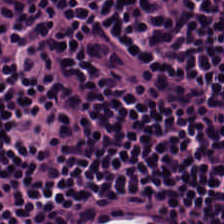0.5 µm per pixel. Hematoxylin and eosin. Predominantly lymphocyte aggregate.
